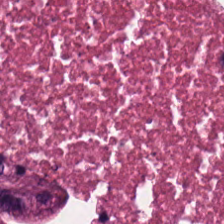H&E — cellular debris.
